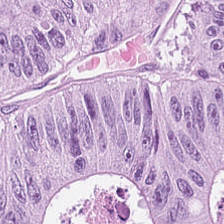Predominantly tumor epithelium.
